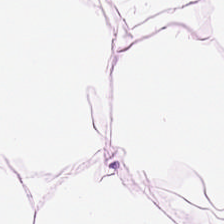Formalin-fixed paraffin-embedded section. H&E-stained tissue section. Brightfield — Classification — adipocytes.
